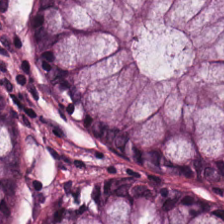Brightfield. H&E stain. Tissue: normal colon mucosa.
